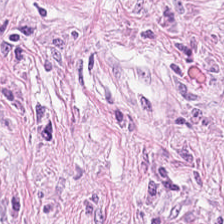H&E. Impression → cancer-associated stroma.
